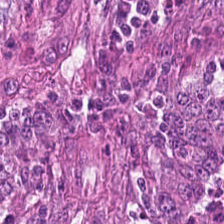Whole-slide-image patch. H&E-stained tissue section. Colorectal adenocarcinoma.
